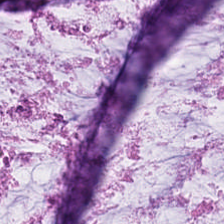H&E stain · FFPE.
Tissue type — mucin.
